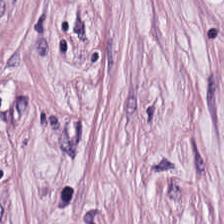FFPE; H&E stain. Q: What does this patch show?
A: This is cancer-associated stroma.
